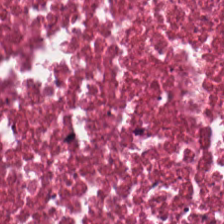Hematoxylin-and-eosin stained section — Classification = cellular debris.
